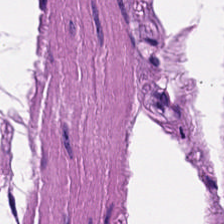H&E.
The predominant tissue is smooth muscle.
